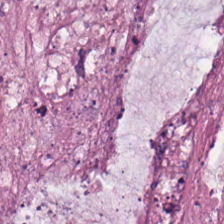H&E — Impression — extracellular mucin.
